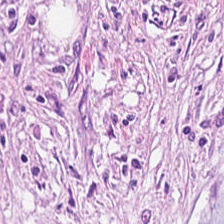H&E stain. Tumor-associated stroma.
